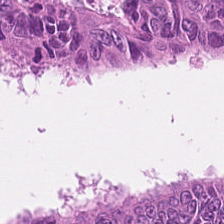Stain: hematoxylin-and-eosin stained section.
Tissue type: adenocarcinoma.
